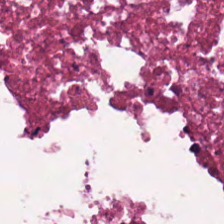Stain: hematoxylin-and-eosin stained section.
Tissue type: necrotic debris.
